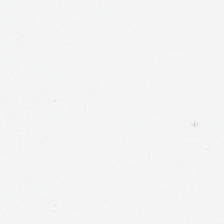No tissue.
